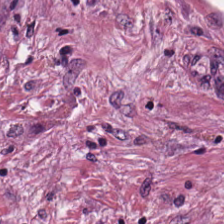H&E — This patch shows desmoplastic stroma.
